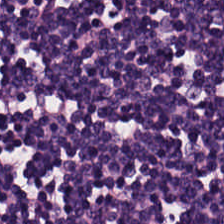Stain: H&E-stained tissue section.
Classification: lymphocytes.
